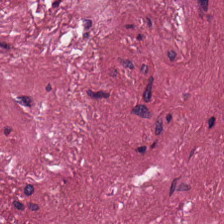H&E-stained tissue section. The tissue here is desmoplastic stroma.
